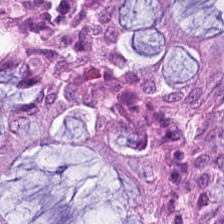Hematoxylin-and-eosin stained section. Predominantly benign colonic mucosa.
